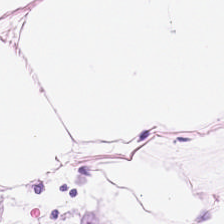224×224 px patch; H&E stain.
This patch shows adipocytes.
